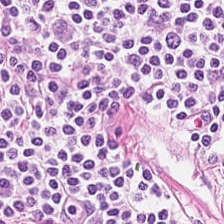H&E stain. 224×224 px tile. Brightfield microscopy — Lymphoid infiltrate.
